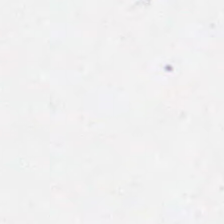H&E stain. 224×224 pixel tile — No tissue present; background only.
